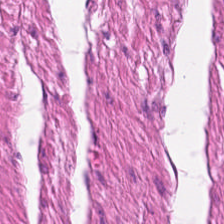The tissue here is muscularis.
